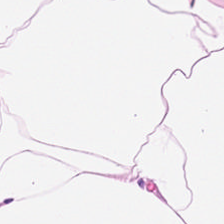Hematoxylin and eosin — {"tissue_type": "adipose tissue"}
